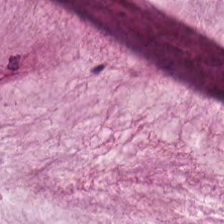0.5 µm per pixel. Hematoxylin and eosin.
Mucus.
